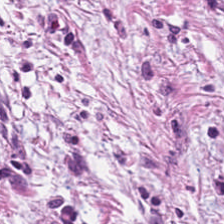Stain: H&E.
Tissue type: tumor-associated stroma.
